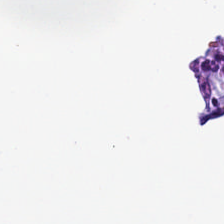The content is background (no tissue).
